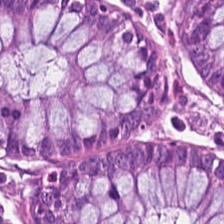Hematoxylin and eosin. This patch shows normal colonic mucosa.
